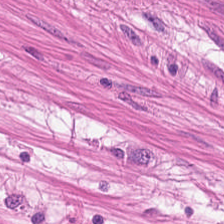H&E stain — Q: Identify the tissue.
A: Smooth-muscle tissue.
